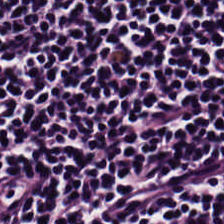H&E-stained tissue section.
This field is lymphocytic infiltrate.
